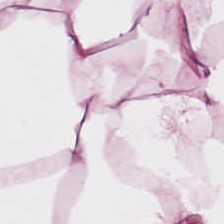H&E stain — Q: What is shown in this field?
A: The field shows fat tissue.
